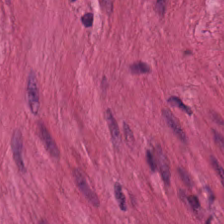Stain: hematoxylin and eosin.
Preparation: formalin-fixed paraffin-embedded section.
Tile size: 224×224 pixel tile.
Predominant tissue: smooth muscle.
